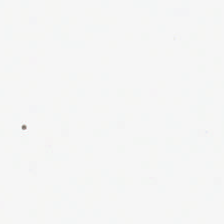H&E-stained tissue section · FFPE · whole-slide-image patch. Q: What does this patch show?
A: No tissue.
